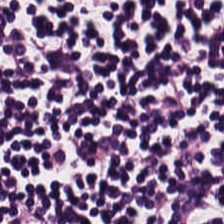224×224 pixel tile; formalin-fixed paraffin-embedded section; hematoxylin-and-eosin stained section.
Q: Classify this patch.
A: It is lymphocytic infiltrate.
